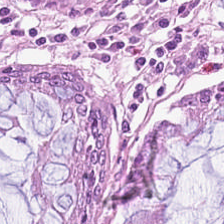H&E stain. This patch shows normal colonic mucosa.
